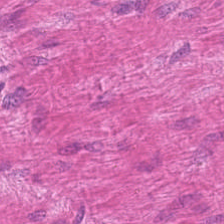0.5 µm/px; hematoxylin-and-eosin stained section; WSI patch — Showing muscularis.
